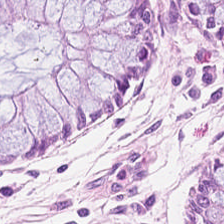H&E; WSI patch; 0.5 microns per pixel.
Q: Identify the tissue.
A: Benign colonic mucosa.
